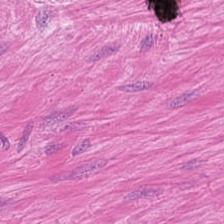Hematoxylin-and-eosin stained section — Q: What tissue is shown?
A: It is smooth muscle.
